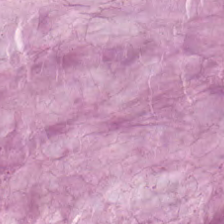H&E-stained tissue section — This patch shows extracellular mucin.
